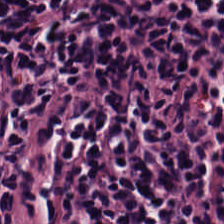Stain: H&E.
Preparation: formalin-fixed paraffin-embedded section.
Tissue: lymphocytic infiltrate.
